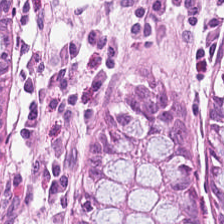H&E stain. Predominantly normal colon mucosa.
